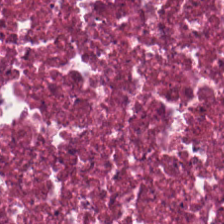Hematoxylin-and-eosin stained section; brightfield microscopy — Q: What is shown in this field?
A: Debris.
